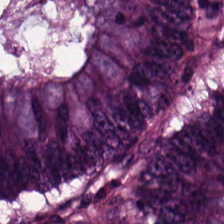H&E; FFPE tissue section; 0.5 µm/px.
Predominantly adenocarcinoma.
